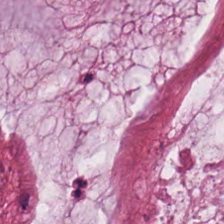Impression — mucus.
